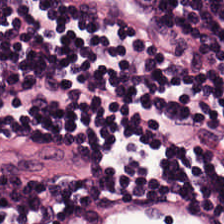H&E stain. FFPE. WSI patch — Finding — lymphocytes.
